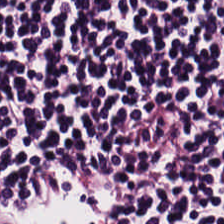Hematoxylin-and-eosin stained section — The tissue here is lymphocytes.
